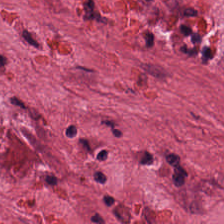H&E stain. 224×224 px tile. Impression — tumor-associated stroma.
